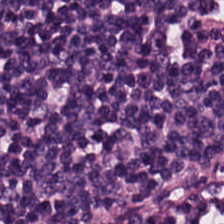H&E-stained tissue section.
Tissue = lymphocytic infiltrate.
